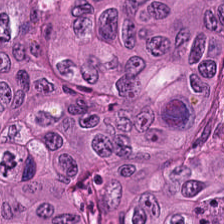224×224 px tile. H&E stain.
Predominantly malignant epithelium.
